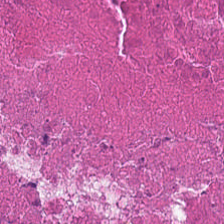Q: What is shown in this field?
A: The field shows debris.
